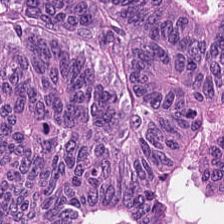H&E-stained tissue section.
Histology — colorectal adenocarcinoma.
